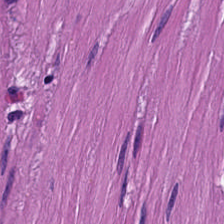Q: What tissue type is shown here?
A: Smooth muscle.
